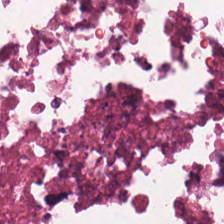H&E patch showing cellular debris.
